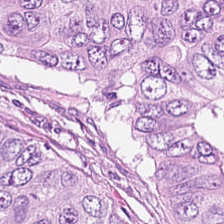H&E stain — Impression — colorectal adenocarcinoma epithelium.
